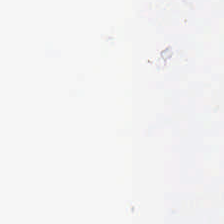The content is empty background.
